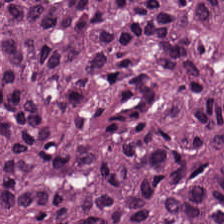Stain: H&E-stained tissue section.
Acquisition: WSI patch.
Tissue: malignant epithelium.
